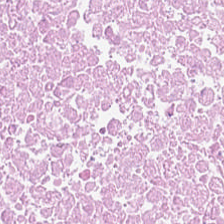Hematoxylin and eosin · formalin-fixed paraffin-embedded section. Showing cellular debris.
